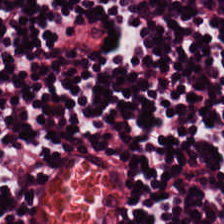Stain: H&E.
Tissue: lymphoid infiltrate.
